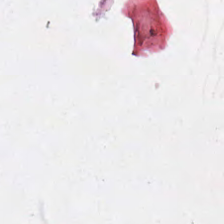224×224 px patch · FFPE tissue section · hematoxylin-and-eosin stained section — The field content is background (no tissue).
